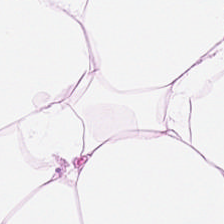Brightfield · H&E — Tissue type = adipose tissue.
